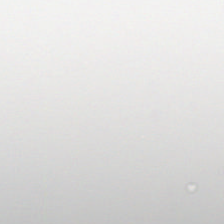Empty field — background.
